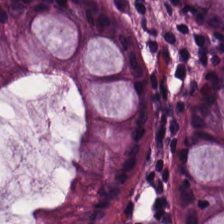Stain: H&E stain.
Classification: non-neoplastic colon mucosa.
